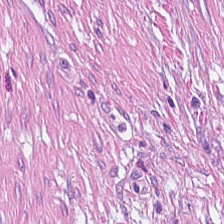H&E — Impression → cancer-associated stroma.
